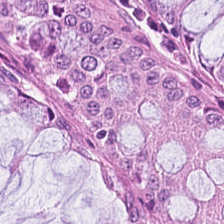Stain: H&E stain.
Tissue: non-neoplastic colon mucosa.
